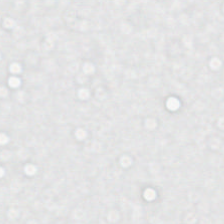This field is background (no tissue).
